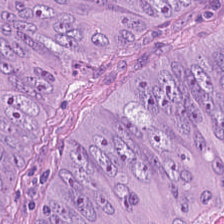0.5 µm/px. Brightfield. H&E — Tissue class — malignant epithelium.
